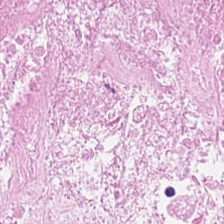H&E-stained tissue section · 0.5 µm per pixel. Tissue — debris.
